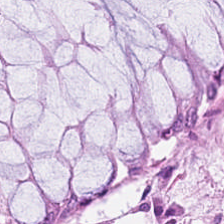FFPE; hematoxylin-and-eosin stained section — Finding — benign colonic mucosa.
